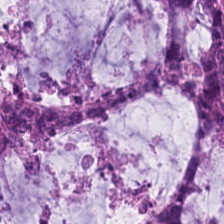H&E — Predominantly mucus.
